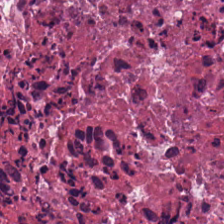224×224 px tile; H&E; formalin-fixed paraffin-embedded section. {"tissue_type": "cellular debris"}
